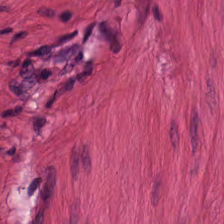Stain: H&E stain.
Tissue: muscularis.
